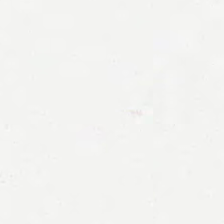H&E-stained tissue section. Background — no tissue in this field.
